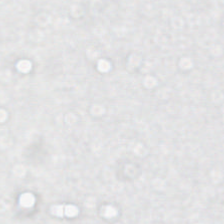H&E stain. 20× equivalent magnification. Finding — no tissue.
